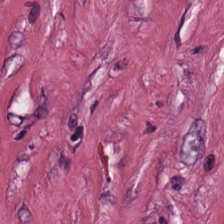H&E. Predominant tissue = tumor-associated stroma.
